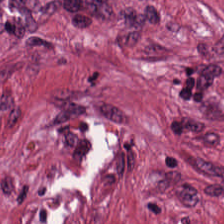224×224 px patch · hematoxylin-and-eosin stained section. Tumor stroma.
